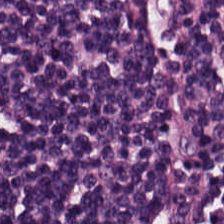The tissue here is lymphocyte aggregate.
